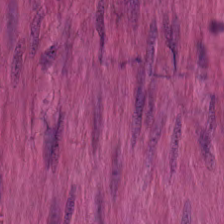H&E-stained tissue section. 224×224 px tile — Smooth-muscle tissue.
